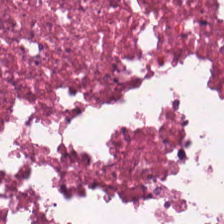The predominant tissue is cellular debris.
